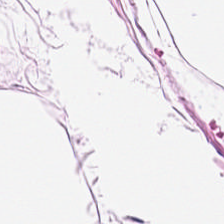224×224 pixel tile · hematoxylin and eosin · formalin-fixed paraffin-embedded section.
{"tissue_type": "adipocytes"}
